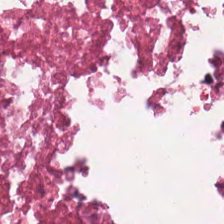FFPE tissue section. H&E-stained tissue section.
The tissue class is debris.
